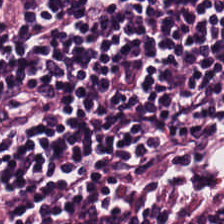FFPE · H&E-stained tissue section. This field is lymphoid infiltrate.
